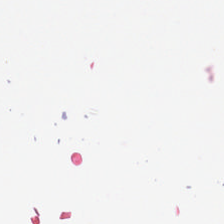Field content — no tissue.
